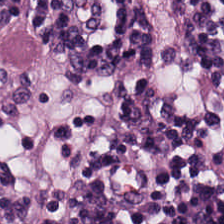FFPE tissue section · hematoxylin and eosin · 224×224 pixel tile.
Q: What does this patch show?
A: It is lymphocytic infiltrate.
